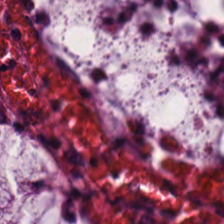Stain: H&E-stained tissue section.
Tissue class: benign colonic mucosa.
